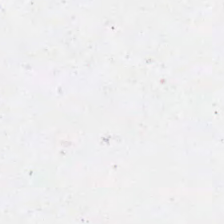Hematoxylin and eosin — No tissue present; background only.
